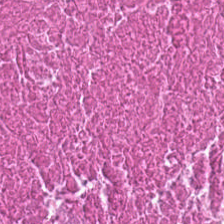Hematoxylin-and-eosin stained section. Showing cellular debris.
